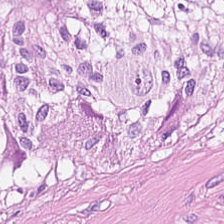Predominantly smooth muscle.
